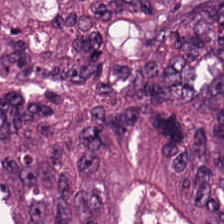H&E-stained tissue section — Predominantly colorectal adenocarcinoma.
